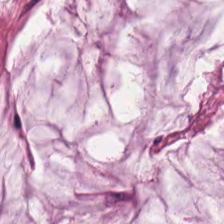{"tissue_type": "extracellular mucin"}
